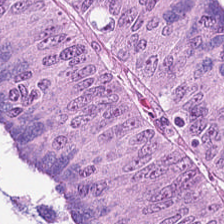224×224 px patch · hematoxylin and eosin. Tissue — adenocarcinoma.
